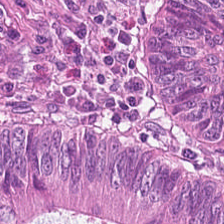Q: What is the predominant tissue type?
A: It is malignant epithelium.
